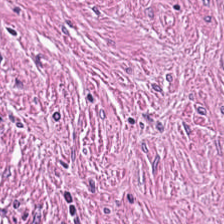H&E; 224×224 px patch. Tissue — tumor-associated stroma.
